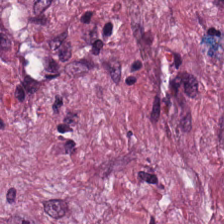H&E-stained section; the field shows tumor stroma.
